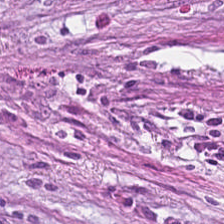This field is cancer-associated stroma.
